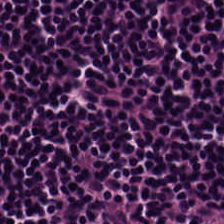The tissue class is lymphocyte aggregate.
